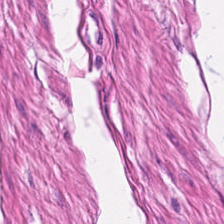0.5 microns per pixel; 224×224 pixel tile; H&E.
Tissue: muscularis.
